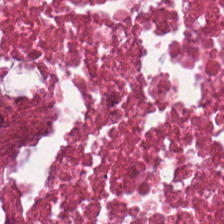Classification: cellular debris.
